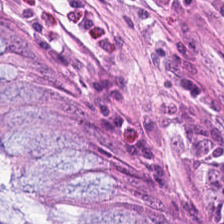H&E-stained tissue section; FFPE tissue section.
Predominantly non-neoplastic colon mucosa.
